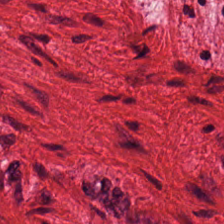WSI patch; H&E stain; 224×224 px patch — Showing smooth-muscle tissue.
